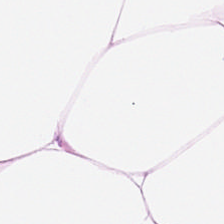H&E. This field is adipose.
